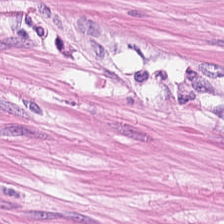Stain: H&E stain.
Classification: smooth-muscle tissue.
